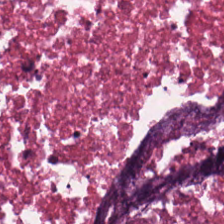H&E-stained tissue section — Predominantly debris.
